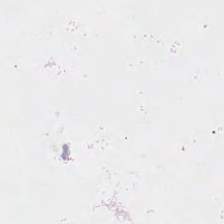Background — no tissue in this field.
